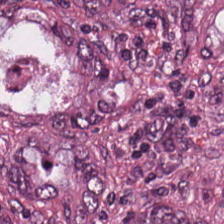H&E; WSI patch — Q: Identify the tissue.
A: The field shows colorectal adenocarcinoma epithelium.
